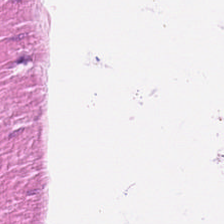Stain: H&E-stained tissue section.
Acquisition: brightfield microscopy.
Tissue: muscularis.
